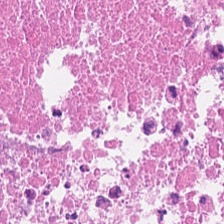{"tissue_type": "debris"}
